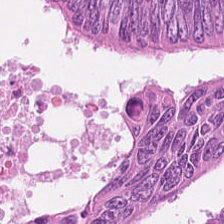H&E stain.
Impression — tumor epithelium.
